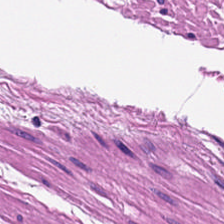Stain: H&E stain.
Tile size: 224×224 pixel tile.
Predominant tissue: muscularis.
